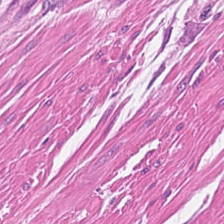FFPE tissue section · hematoxylin and eosin. Tissue class — muscularis.
